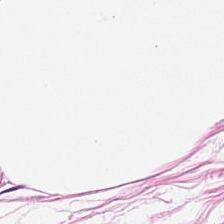H&E stain — This field is fat tissue.
